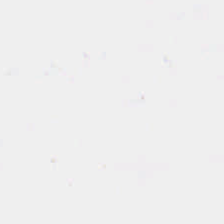This patch shows no tissue.
